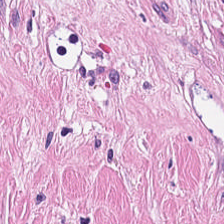224×224 px patch. H&E. Q: What tissue type is shown here?
A: Desmoplastic stroma.
